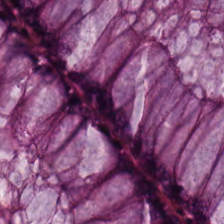FFPE tissue section · H&E stain — Q: What tissue type is shown here?
A: The field shows normal colonic mucosa.
